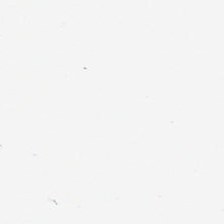Finding → no tissue.
